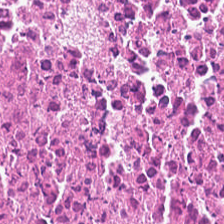Brightfield. Hematoxylin-and-eosin stained section. 0.5 microns per pixel. Tissue = debris.
